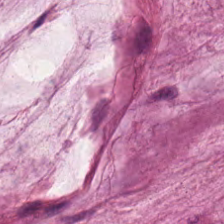H&E · 224×224 px patch — Finding — mucin.
